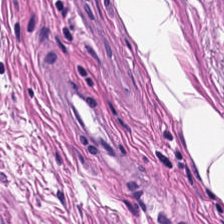H&E stain.
Tissue: muscularis.
